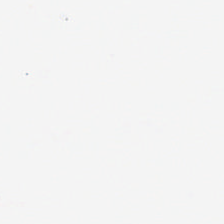Hematoxylin-and-eosin stained section. Histology — no tissue.
